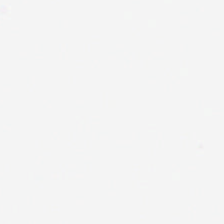H&E-stained tissue section. Brightfield. FFPE tissue section.
{"content": "background (no tissue)"}
